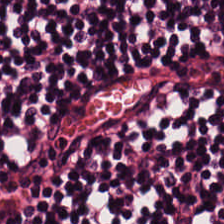20× equivalent magnification. Hematoxylin and eosin — The tissue here is lymphocyte aggregate.
